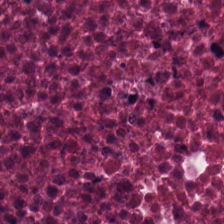Tissue — cellular debris.
